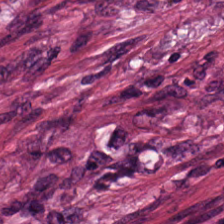H&E stain. The tissue here is tumor-associated stroma.
